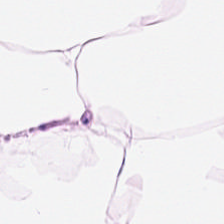Predominant tissue: fat tissue.
